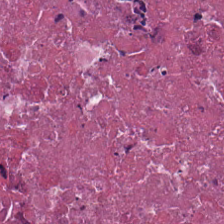H&E — Tissue: necrotic debris.
